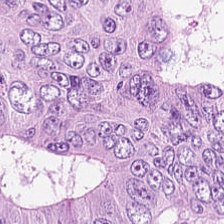Stain: H&E-stained tissue section.
Tissue class: tumor epithelium.
